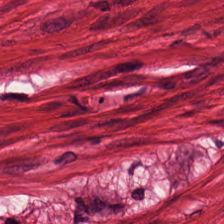Hematoxylin-and-eosin stained section. The predominant tissue is smooth muscle.
